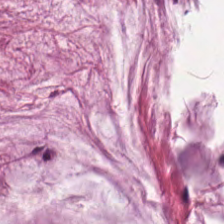Stain: hematoxylin-and-eosin stained section.
Predominant tissue: extracellular mucin.
